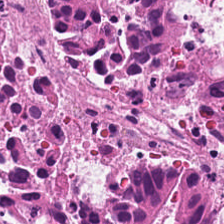Stain: H&E.
Acquisition: WSI patch.
Classification: debris.
